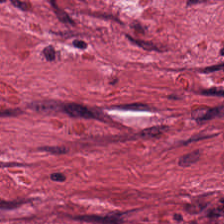H&E.
Classification — tumor stroma.
